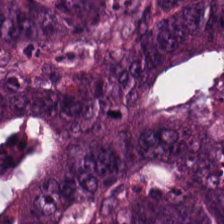Brightfield microscopy · FFPE · H&E-stained tissue section. The tissue class is colorectal adenocarcinoma.
